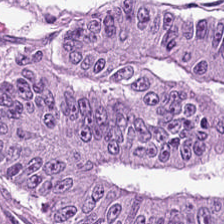H&E-stained tissue section — Q: What tissue type is shown here?
A: It is colorectal adenocarcinoma.
